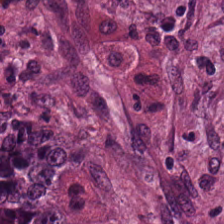Tissue type: cancer-associated stroma.
